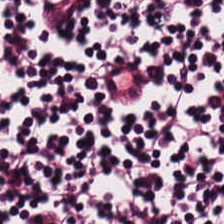0.5 microns per pixel. Hematoxylin-and-eosin stained section. Brightfield microscopy. Predominantly lymphocyte aggregate.
